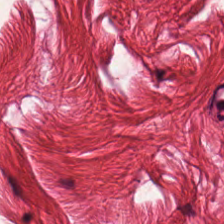Stain: H&E stain.
Tissue: smooth-muscle tissue.
